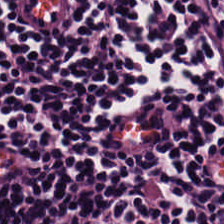Formalin-fixed paraffin-embedded section. Hematoxylin-and-eosin stained section. 0.5 µm per pixel — Q: What is the predominant tissue type?
A: The field shows lymphocyte aggregate.
